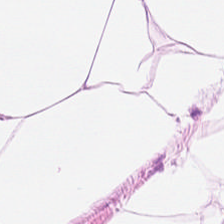0.5 µm/px · H&E — Classification = adipose tissue.
